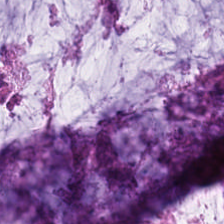Brightfield microscopy. 224×224 px tile. H&E.
The predominant tissue is mucin.
